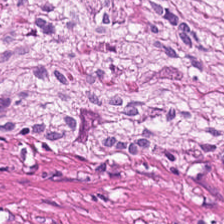Stain: H&E stain.
Classification: smooth muscle.
